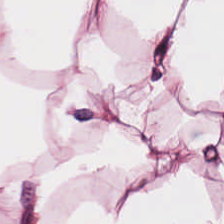This field is adipose tissue.
